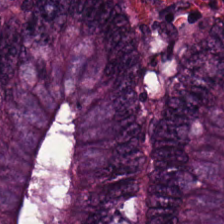Hematoxylin and eosin. Colorectal adenocarcinoma epithelium.
